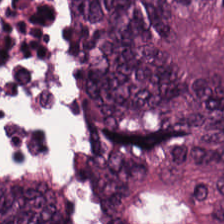H&E-stained tissue section · 224×224 px patch.
Histology → adenocarcinoma.
